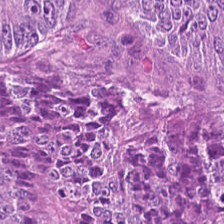H&E stain. The predominant tissue is colorectal adenocarcinoma epithelium.
